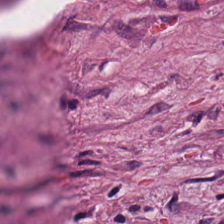Impression — cancer-associated stroma.
